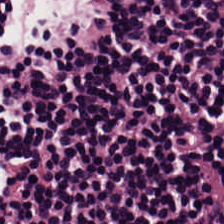Tissue type: lymphocyte aggregate.
